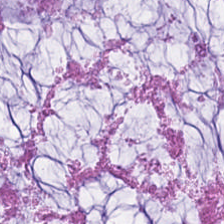H&E stain. 224×224 px tile.
{"tissue_type": "extracellular mucin"}
